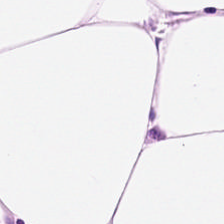Hematoxylin and eosin — Finding → adipocytes.
